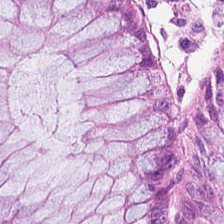H&E stain · 224×224 px patch — The predominant tissue is non-neoplastic colon mucosa.
